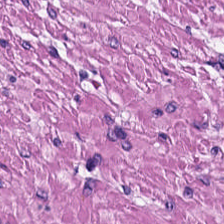H&E-stained tissue section · 0.5 µm/px.
{"tissue_type": "smooth muscle"}
